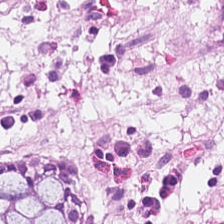Hematoxylin-and-eosin stained section.
{"tissue_type": "normal colon mucosa"}
